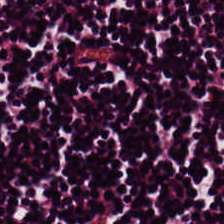Hematoxylin and eosin — The classification is lymphoid infiltrate.
